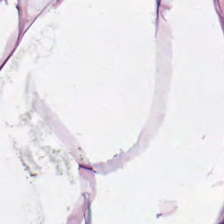The predominant tissue is adipose.
